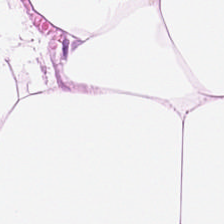0.5 microns per pixel. 224×224 pixel tile. H&E — Q: What does this patch show?
A: Adipocytes.
